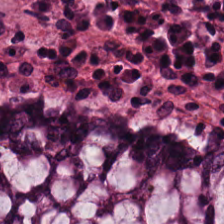224×224 pixel tile · H&E.
This field is non-neoplastic colon mucosa.
